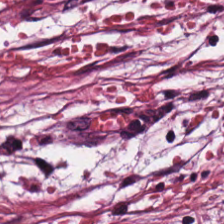{"tissue_type": "desmoplastic stroma"}
